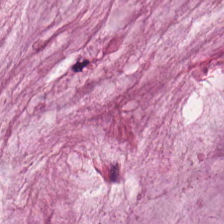H&E stain · FFPE tissue section.
Predominantly mucus.
